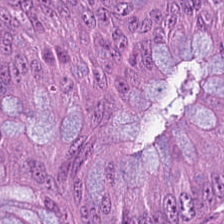{"tissue_type": "colorectal adenocarcinoma epithelium"}
